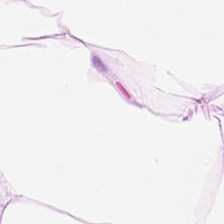Predominant tissue — adipose.
